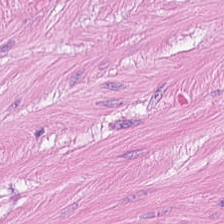The predominant tissue is muscularis.
